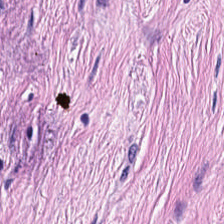Stain: hematoxylin-and-eosin stained section.
Tissue class: tumor stroma.
